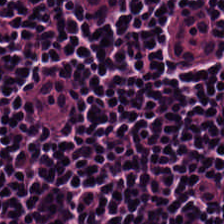H&E-stained tissue section · whole-slide-image patch. Tissue type — lymphocyte aggregate.
